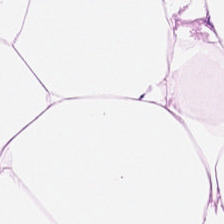H&E stain. 0.5 µm/px.
This field is adipose.
